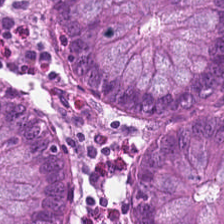Stain: H&E-stained tissue section.
Resolution: 0.5 µm per pixel.
Preparation: formalin-fixed paraffin-embedded section.
Tissue type: non-neoplastic colon mucosa.
